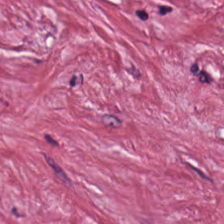224×224 px tile · H&E stain — This patch shows tumor stroma.
